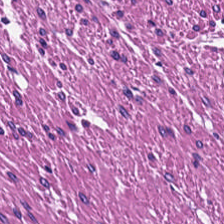224×224 px patch · FFPE tissue section · hematoxylin and eosin.
This patch shows smooth-muscle tissue.
